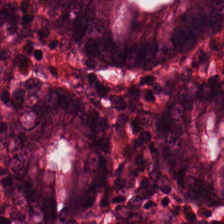Hematoxylin and eosin — Normal colonic mucosa.
